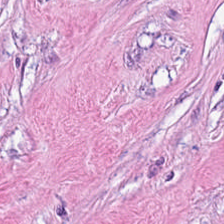Hematoxylin and eosin. The predominant tissue is tumor stroma.
